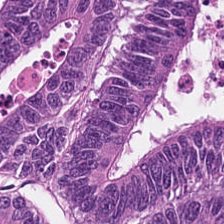H&E patch showing colorectal adenocarcinoma.
